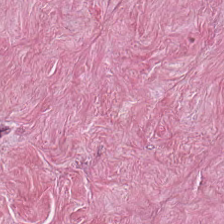The tissue type is tumor stroma.
